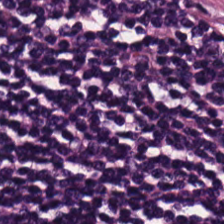0.5 µm/px. H&E stain — Histology — lymphoid infiltrate.
